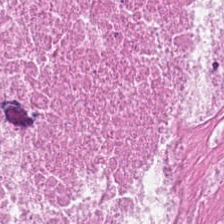Hematoxylin-and-eosin stained section. Histology — cellular debris.
